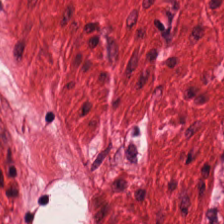{"tissue_type": "smooth-muscle tissue"}
